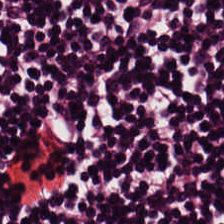Hematoxylin-and-eosin stained section. 0.5 µm/px. This patch shows lymphocyte aggregate.
